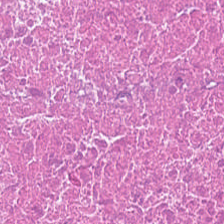H&E-stained tissue section. 224×224 px tile.
Histology → necrotic debris.
